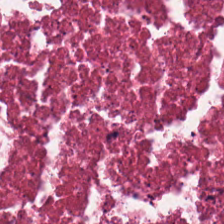Hematoxylin and eosin.
Necrotic debris.
